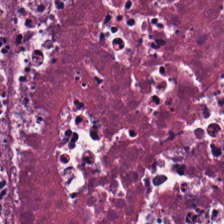This field is cellular debris.
